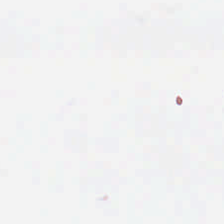Whole-slide-image patch · hematoxylin-and-eosin stained section · 224×224 px tile.
Background — no tissue in this field.
